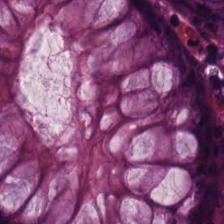Normal colonic mucosa.
